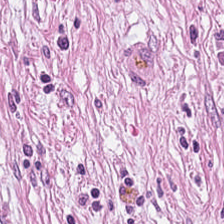Hematoxylin-and-eosin stained section · 224×224 px patch — Q: What is shown here?
A: The field shows desmoplastic stroma.
